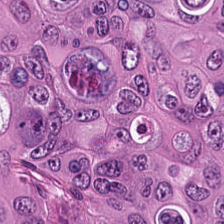Stain: H&E-stained tissue section.
Predominant tissue: adenocarcinoma.
